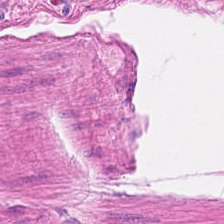H&E-stained tissue section. Predominant tissue = smooth muscle.
